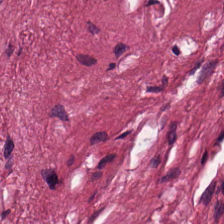H&E. Brightfield. Tissue — tumor-associated stroma.
